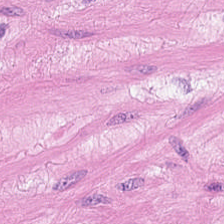Hematoxylin and eosin; FFPE — The tissue here is smooth muscle.
